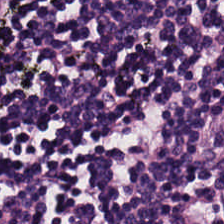Stain: H&E-stained tissue section.
Acquisition: brightfield microscopy.
Resolution: 0.5 microns per pixel.
Tissue class: lymphocyte aggregate.
